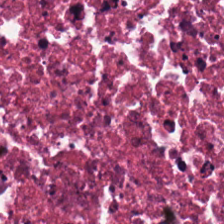Stain: hematoxylin-and-eosin stained section.
Classification: necrotic debris.
